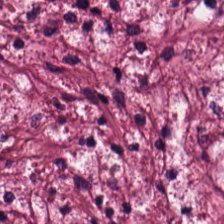Stain: hematoxylin and eosin.
Tissue: tumor-associated stroma.
